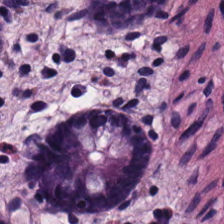Impression → normal colonic mucosa.
